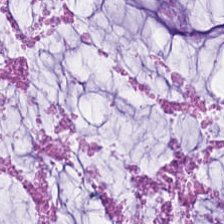H&E. The tissue here is extracellular mucin.
